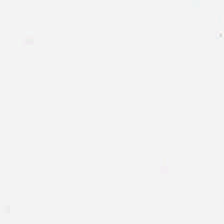Q: Classify this patch.
A: This is empty background.
